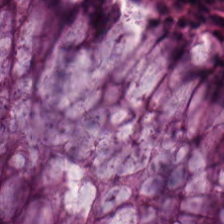Hematoxylin and eosin. 224×224 px tile. Formalin-fixed paraffin-embedded section.
The tissue here is non-neoplastic colon mucosa.
